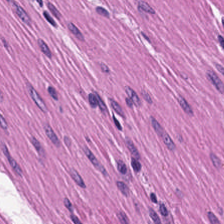H&E — The predominant tissue is muscularis.
